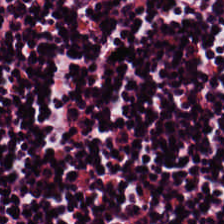Hematoxylin-and-eosin stained section.
This patch shows lymphocytic infiltrate.
